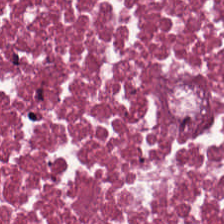0.5 µm/px. Hematoxylin-and-eosin stained section — Tissue type = necrotic debris.
